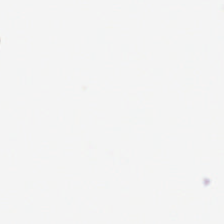Stain: hematoxylin and eosin.
Resolution: 0.5 microns per pixel.
Tile size: 224×224 pixel tile.
Field content: background (no tissue).
